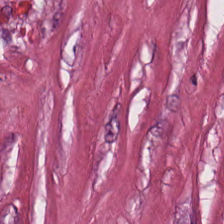H&E · 224×224 px tile — This field is tumor-associated stroma.
